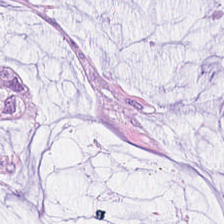Brightfield microscopy · 224×224 px patch · hematoxylin-and-eosin stained section.
{"tissue_type": "mucus"}
